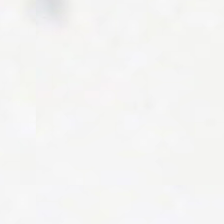H&E stain. Impression → no tissue.
